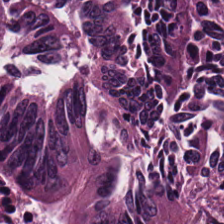Hematoxylin-and-eosin stained section — {"tissue_type": "colorectal adenocarcinoma"}
